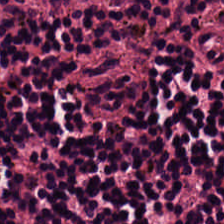Hematoxylin and eosin · WSI patch. The tissue here is lymphocytic infiltrate.
